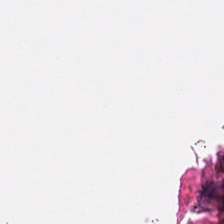Hematoxylin-and-eosin stained section; 20× equivalent magnification; 224×224 px patch — This patch shows background (no tissue).
